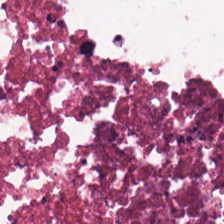Hematoxylin-and-eosin stained section · 0.5 µm per pixel.
Tissue type = cellular debris.
